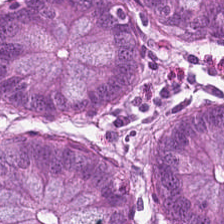H&E. This field is non-neoplastic colon mucosa.
